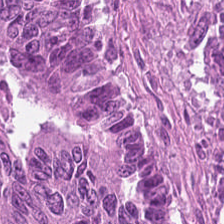H&E stain — Histology — colorectal adenocarcinoma epithelium.
